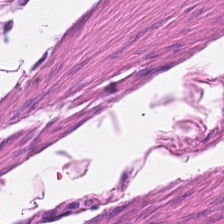Hematoxylin and eosin.
The predominant tissue is smooth muscle.
